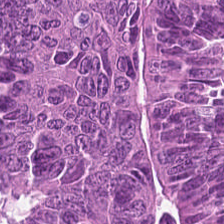H&E stain. {"tissue_type": "colorectal adenocarcinoma epithelium"}
